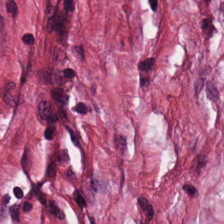Tissue type — cancer-associated stroma.
